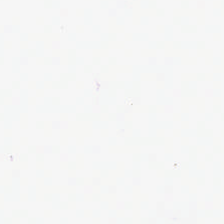Hematoxylin and eosin — Q: What does this patch show?
A: It is background.
